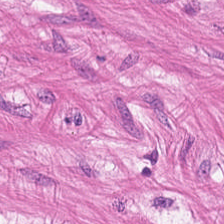H&E.
Q: What is the predominant tissue type?
A: It is muscularis.
